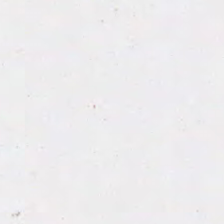224×224 px tile. H&E.
The content is background.
